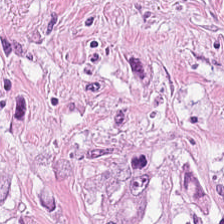Hematoxylin-and-eosin stained section. FFPE tissue section.
Tissue type — tumor-associated stroma.
